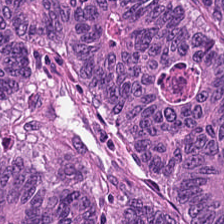H&E-stained tissue section — Tumor epithelium.
